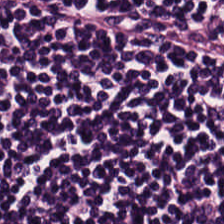224×224 pixel tile · 0.5 µm per pixel · H&E.
The classification is lymphocytic infiltrate.
